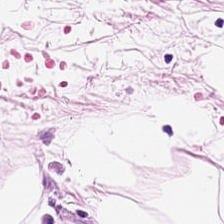H&E-stained tissue section — Histology → adipose.
